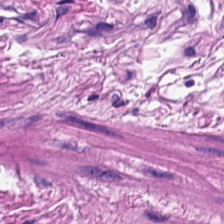Hematoxylin and eosin — Histology — muscularis.
